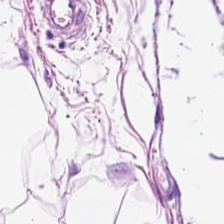Hematoxylin-and-eosin stained section. Formalin-fixed paraffin-embedded section. Brightfield.
Classification — adipose tissue.
